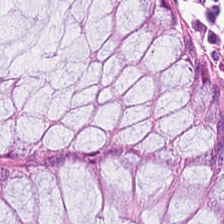Hematoxylin and eosin — Q: What does this patch show?
A: This is benign colonic mucosa.
